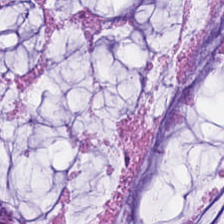Q: Classify this patch.
A: Mucin.
